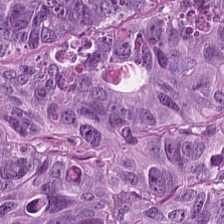H&E. The tissue is tumor epithelium.
